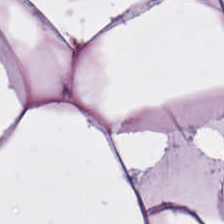H&E-stained tissue section · 224×224 px tile.
Predominantly fat tissue.
